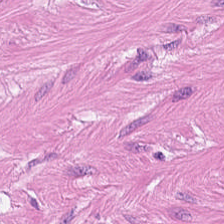Stain: H&E stain.
Classification: smooth-muscle tissue.
